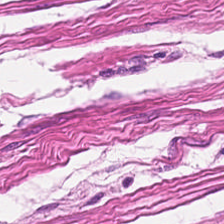FFPE; hematoxylin and eosin. Q: Classify this patch.
A: This is smooth-muscle tissue.
